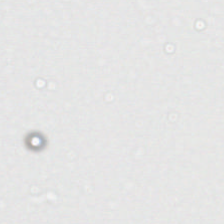224×224 px tile; H&E — {"content": "background (no tissue)"}
